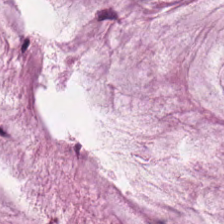H&E stain.
Histology — extracellular mucin.
